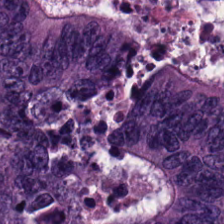Hematoxylin and eosin.
Q: What is shown in this field?
A: This is tumor epithelium.
